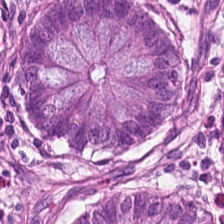H&E — benign colonic mucosa.
